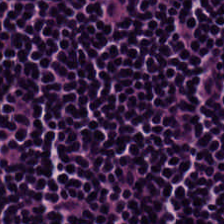H&E stain. Brightfield. Q: What tissue type is shown here?
A: It is lymphocytes.
